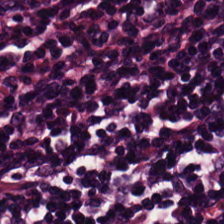This patch shows lymphocyte aggregate.
